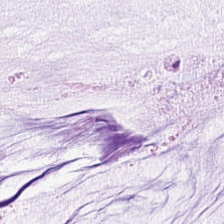0.5 µm per pixel; H&E-stained tissue section. Mucus.
